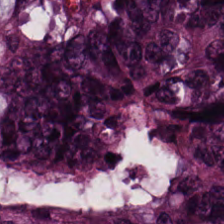H&E — Showing colorectal adenocarcinoma epithelium.
